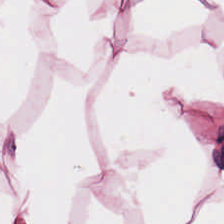H&E-stained tissue section. Classification: adipocytes.
